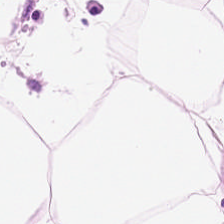Q: What tissue is shown?
A: This is fat tissue.
